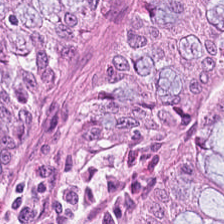224×224 px tile; hematoxylin-and-eosin stained section — Q: What tissue is shown?
A: Benign colonic mucosa.
